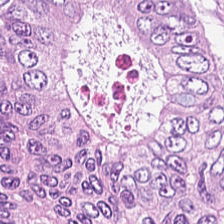Tissue class: malignant epithelium.
